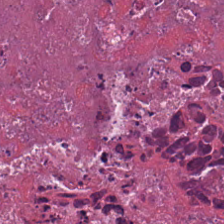Hematoxylin-and-eosin stained section — Q: What tissue is shown?
A: This is cellular debris.
